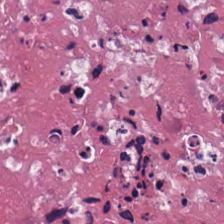Stain: hematoxylin and eosin.
Tile size: 224×224 px patch.
Preparation: FFPE.
Tissue type: cellular debris.
